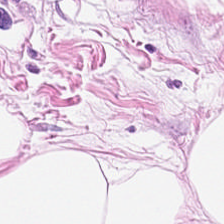Hematoxylin and eosin; brightfield microscopy; FFPE tissue section — Histology — fat tissue.
